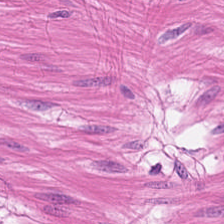H&E stain. 224×224 px patch. 20× equivalent magnification.
Histology — smooth muscle.
